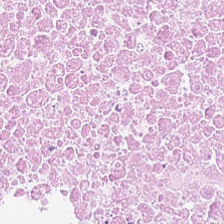0.5 µm per pixel. Hematoxylin and eosin.
Histology — debris.
